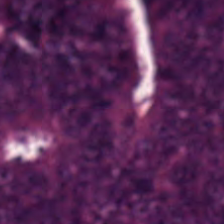224×224 pixel tile · H&E-stained tissue section · whole-slide-image patch — Colorectal adenocarcinoma epithelium.
